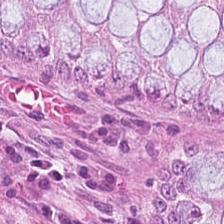H&E.
Q: Classify this patch.
A: Normal colon mucosa.
